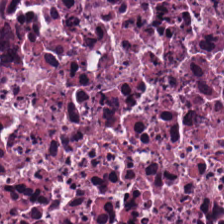0.5 microns per pixel · hematoxylin-and-eosin stained section.
Showing necrotic debris.
